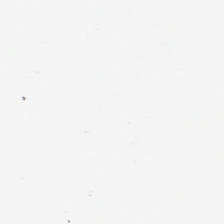H&E · FFPE — Content — no tissue.
